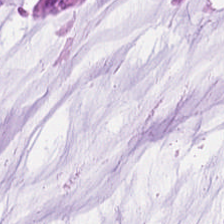H&E — Q: What tissue is shown?
A: It is extracellular mucin.
